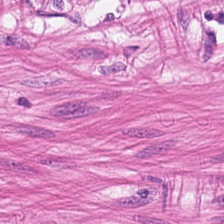H&E-stained tissue section. {"tissue_type": "smooth-muscle tissue"}
